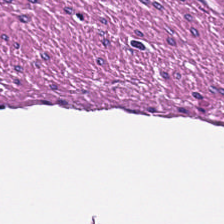Hematoxylin and eosin. Impression — muscularis.
